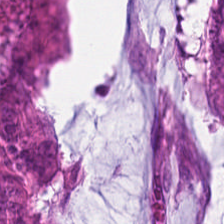Stain: hematoxylin-and-eosin stained section.
Preparation: formalin-fixed paraffin-embedded section.
Tile size: 224×224 px patch.
Tissue type: adenocarcinoma.
